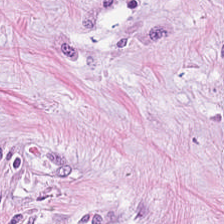H&E-stained section; the field shows desmoplastic stroma.
